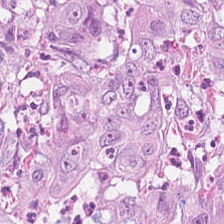Brightfield; hematoxylin and eosin — Tissue type = tumor epithelium.
